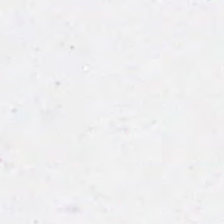Hematoxylin and eosin. Finding → empty background.
